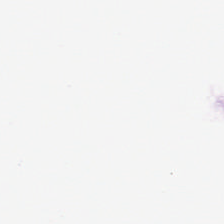H&E · 224×224 pixel tile — The classification is background (no tissue).
